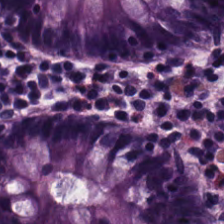FFPE tissue section. Hematoxylin-and-eosin stained section. 0.5 µm per pixel. Q: What is shown here?
A: This is normal colon mucosa.
